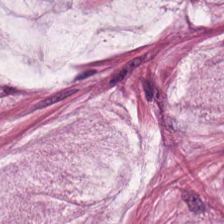0.5 µm/px. H&E stain — Predominant tissue — mucin.
